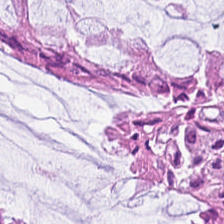H&E-stained section; the field shows non-neoplastic colon mucosa.
